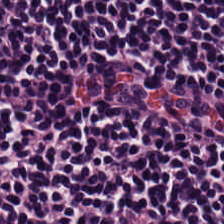Impression — lymphocyte aggregate.
